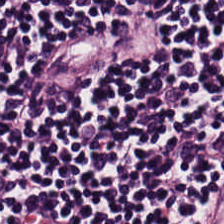H&E.
Q: What type of tissue is this?
A: It is lymphocytes.
